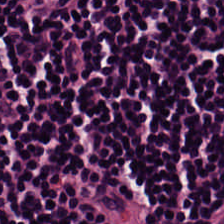Stain: hematoxylin-and-eosin stained section.
Predominant tissue: lymphocytes.
